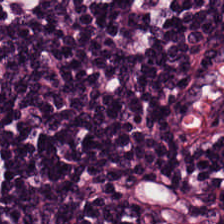The tissue here is lymphocytes.
